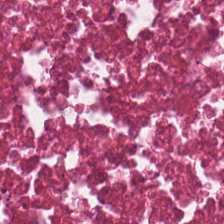Stain: H&E stain.
Acquisition: brightfield.
Tissue class: debris.
